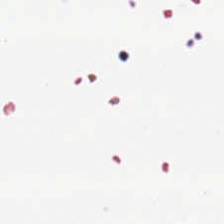Classification — background.
